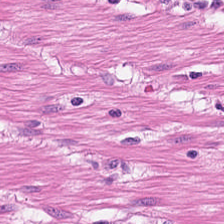H&E.
Finding — muscularis.
